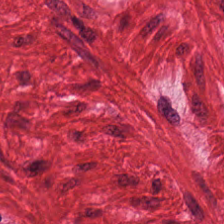This field is muscularis.
